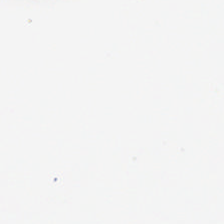H&E stain.
No tissue present; background only.
